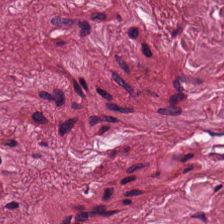H&E stain. 224×224 pixel tile. Whole-slide-image patch — Predominantly tumor stroma.
